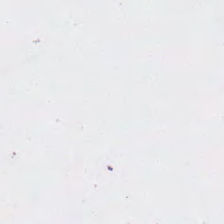H&E-stained tissue section; brightfield microscopy; 224×224 pixel tile — Empty field — empty background.
